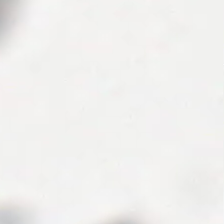This patch shows no tissue.
